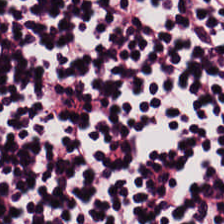Tissue type = lymphoid infiltrate.
